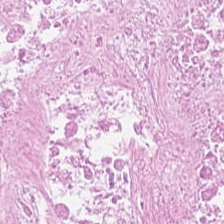20× equivalent magnification. Brightfield microscopy. H&E — The predominant tissue is cellular debris.
